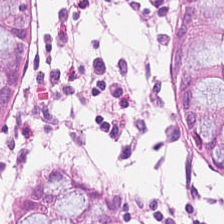FFPE tissue section · WSI patch · hematoxylin and eosin. This field is normal colon mucosa.
